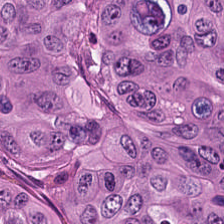H&E-stained tissue section. Showing colorectal adenocarcinoma.
